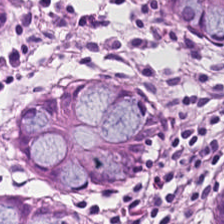Showing normal colon mucosa.
